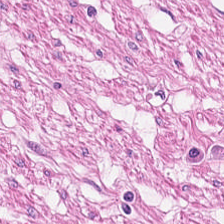Finding → smooth-muscle tissue.
